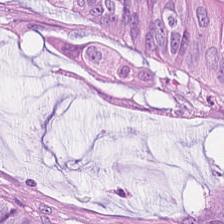Q: What tissue is shown?
A: Tumor epithelium.
